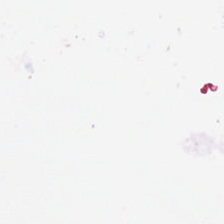Stain: hematoxylin and eosin.
Preparation: formalin-fixed paraffin-embedded section.
Tile size: 224×224 px tile.
Field content: no tissue.
